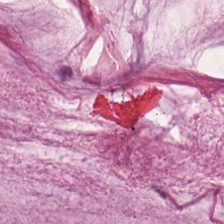Hematoxylin-and-eosin stained section.
Classification = extracellular mucin.
